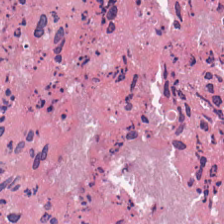0.5 µm/px. Hematoxylin-and-eosin stained section. FFPE tissue section.
The tissue here is cellular debris.
